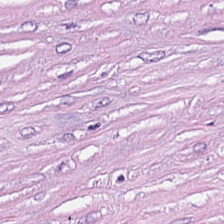224×224 px patch; H&E stain — The tissue class is desmoplastic stroma.
